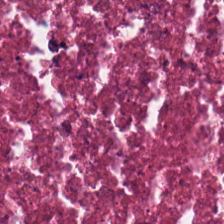Hematoxylin-and-eosin section: necrotic debris.
